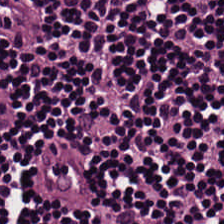Stain: hematoxylin-and-eosin stained section.
Classification: lymphoid infiltrate.
